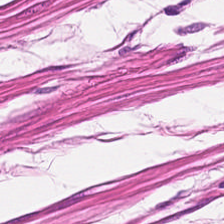{"tissue_type": "smooth-muscle tissue"}
